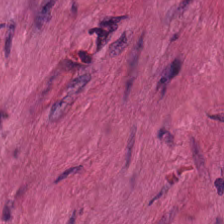{"tissue_type": "smooth-muscle tissue"}
